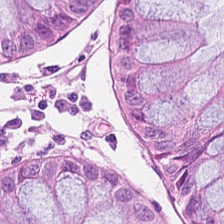Predominantly normal colonic mucosa.
